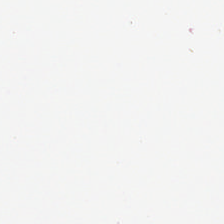Hematoxylin-and-eosin stained section — Field content — no tissue.
